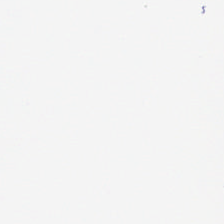H&E-stained tissue section. No tissue present; background only.
